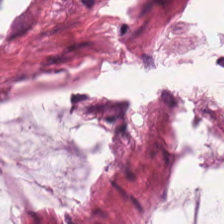Hematoxylin-and-eosin section: extracellular mucin.
